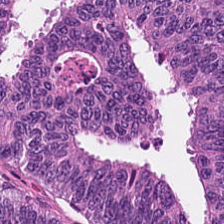H&E stain. Q: What tissue type is shown here?
A: The field shows tumor epithelium.
